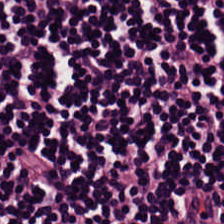This patch shows lymphoid infiltrate.
